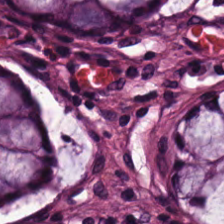Hematoxylin-and-eosin stained section. Brightfield microscopy — Histology → normal colonic mucosa.
